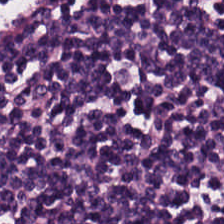H&E — Q: What is shown in this field?
A: The field shows lymphocytes.
